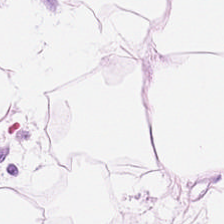Q: Identify the tissue.
A: This is adipocytes.
